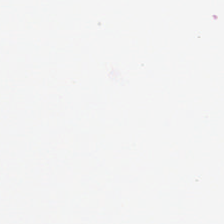Hematoxylin and eosin — Classification: empty background.
